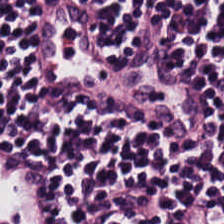Stain: H&E.
Acquisition: brightfield.
Tissue type: lymphocyte aggregate.
